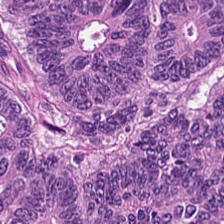H&E patch showing tumor epithelium.
